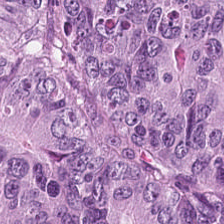Hematoxylin and eosin.
The tissue here is malignant epithelium.
